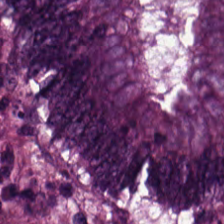H&E stain. 0.5 microns per pixel — Finding → colorectal adenocarcinoma epithelium.
